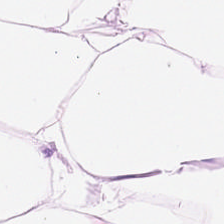H&E. 224×224 pixel tile.
Q: What tissue type is shown here?
A: It is fat tissue.
